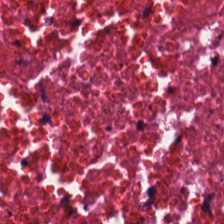H&E stain · WSI patch — The predominant tissue is debris.
